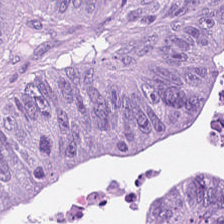Stain: hematoxylin-and-eosin stained section.
Tissue class: malignant epithelium.
